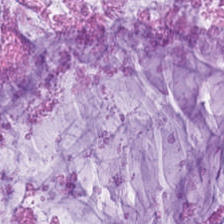Stain: hematoxylin-and-eosin stained section.
Predominant tissue: mucus.
